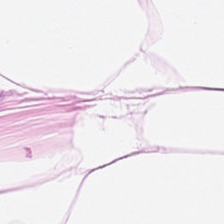H&E-stained tissue section.
Predominantly adipose.
